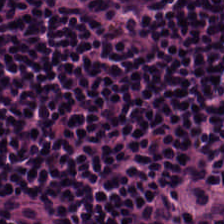FFPE · 224×224 px patch · hematoxylin and eosin.
This field is lymphocyte aggregate.
